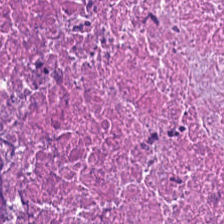Q: What tissue type is shown here?
A: It is cellular debris.
